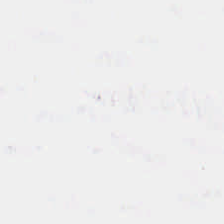H&E-stained tissue section; FFPE tissue section.
Background (no tissue).
